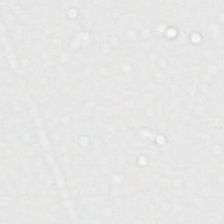H&E stain · 0.5 µm/px. Finding — background (no tissue).
